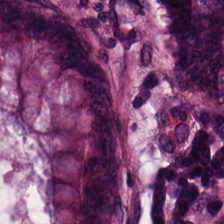Q: What tissue type is shown here?
A: This is non-neoplastic colon mucosa.
